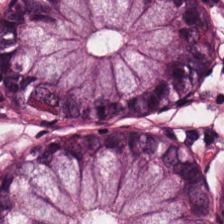0.5 microns per pixel; hematoxylin and eosin — The tissue here is normal colon mucosa.
